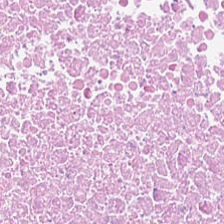H&E stain — The predominant tissue is necrotic debris.
